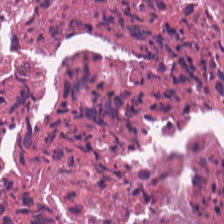H&E.
This field is necrotic debris.
